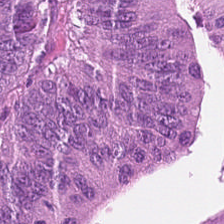Whole-slide-image patch; 0.5 microns per pixel; hematoxylin and eosin. This patch shows colorectal adenocarcinoma.
